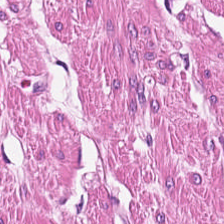Hematoxylin-and-eosin stained section.
{"tissue_type": "smooth-muscle tissue"}
